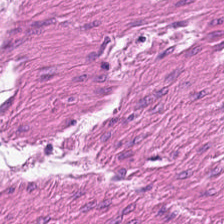Smooth-muscle tissue.
